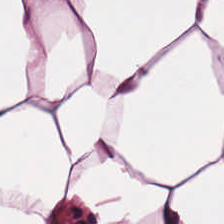Classification — adipose tissue.
